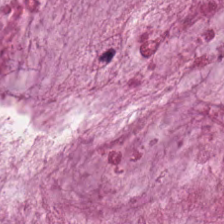H&E-stained tissue section — {"tissue_type": "mucin"}
